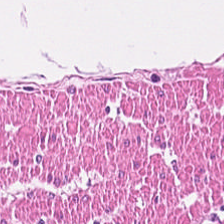H&E.
{"tissue_type": "muscularis"}
